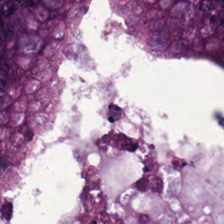Hematoxylin-and-eosin stained section; 224×224 pixel tile. {"tissue_type": "malignant epithelium"}
